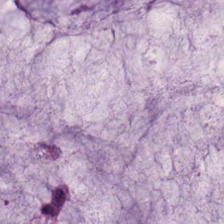Q: What does this patch show?
A: It is mucin.
